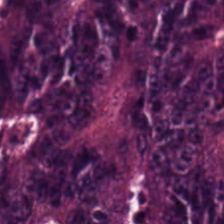H&E stain. Q: What is shown here?
A: It is malignant epithelium.
